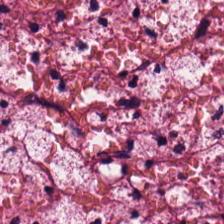H&E stain.
Q: What is the predominant tissue type?
A: This is cancer-associated stroma.
